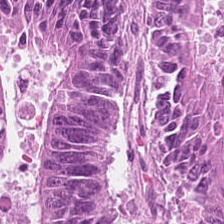Brightfield · 224×224 pixel tile · H&E stain. Showing adenocarcinoma.
